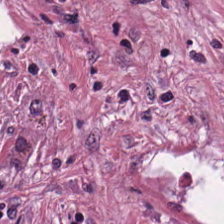FFPE. H&E stain.
The predominant tissue is tumor stroma.
